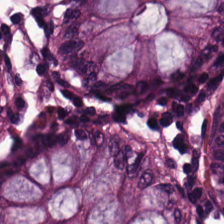Hematoxylin-and-eosin stained section · 224×224 px patch · formalin-fixed paraffin-embedded section. This patch shows benign colonic mucosa.
